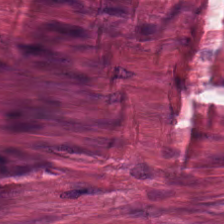FFPE; H&E stain — Q: What tissue is shown?
A: The field shows tumor stroma.
